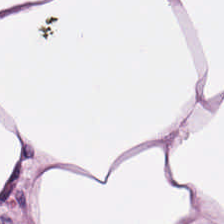Stain: H&E.
Tissue: adipocytes.
